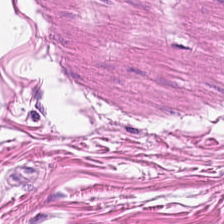Q: What tissue type is shown here?
A: This is smooth muscle.
